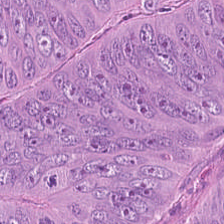Tissue — colorectal adenocarcinoma epithelium.
